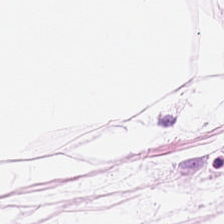Hematoxylin-and-eosin stained section — Adipose.
